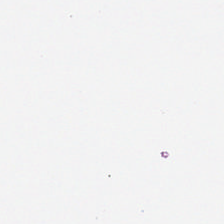H&E. Finding → no tissue.
